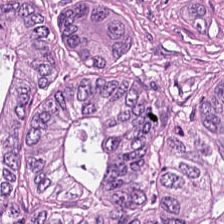This patch shows colorectal adenocarcinoma epithelium.
